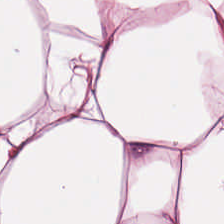H&E; whole-slide-image patch. Q: Identify the tissue.
A: The field shows adipose.
